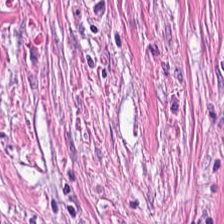Tissue class — tumor-associated stroma.
